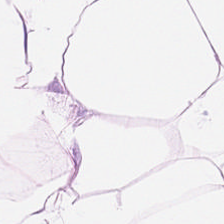H&E-stained section; the field shows adipose.
